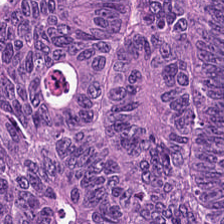H&E — colorectal adenocarcinoma.
